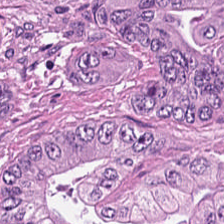Hematoxylin and eosin — {"tissue_type": "colorectal adenocarcinoma epithelium"}
